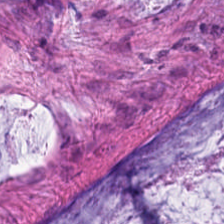Q: Identify the tissue.
A: The field shows mucus.
